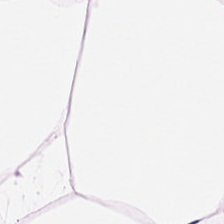FFPE tissue section · brightfield microscopy · hematoxylin and eosin — Tissue type: fat tissue.
